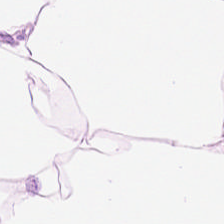H&E stain. Q: Identify the tissue.
A: It is adipocytes.
